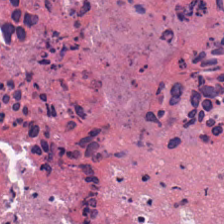H&E-stained tissue section — Cellular debris.
